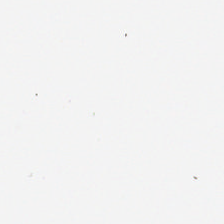Q: What is shown in this field?
A: Empty background.
